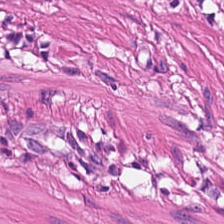H&E-stained tissue section. FFPE tissue section. 224×224 px tile — Q: What tissue is shown?
A: The field shows smooth muscle.
